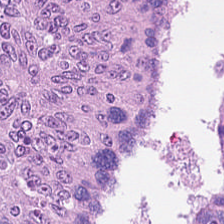Whole-slide-image patch; H&E-stained tissue section.
Tissue type: colorectal adenocarcinoma.
